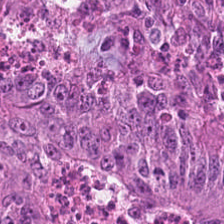H&E stain — Tissue type = adenocarcinoma.
